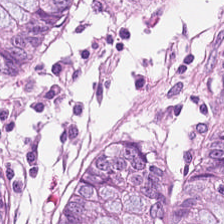H&E · whole-slide-image patch. Q: What tissue type is shown here?
A: It is benign colonic mucosa.
